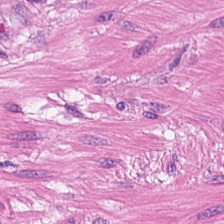H&E · 0.5 microns per pixel · 224×224 px patch. Predominantly smooth muscle.
